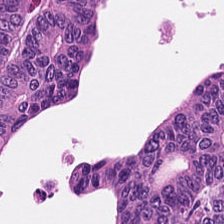Brightfield microscopy · hematoxylin and eosin — This patch shows adenocarcinoma.
